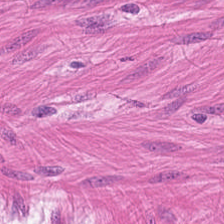0.5 microns per pixel; 224×224 px patch; H&E-stained tissue section.
Impression → smooth muscle.
